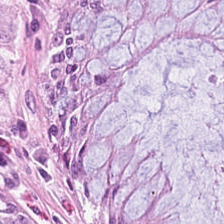H&E stain. Formalin-fixed paraffin-embedded section — Q: Classify this patch.
A: This is non-neoplastic colon mucosa.
